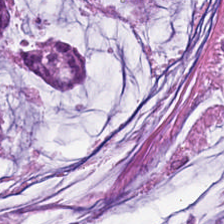Hematoxylin and eosin — Predominantly extracellular mucin.
